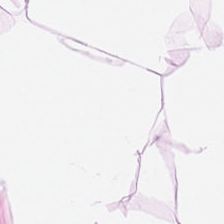Hematoxylin-and-eosin section: adipocytes.
